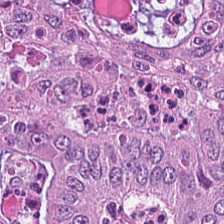Hematoxylin and eosin — Tissue — colorectal adenocarcinoma epithelium.
